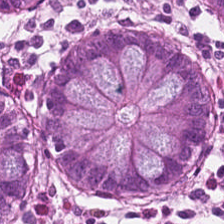H&E — Impression → benign colonic mucosa.
